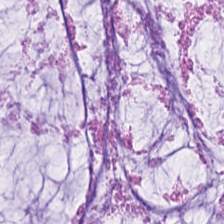Hematoxylin and eosin. 224×224 px tile.
Q: Identify the tissue.
A: This is mucus.
